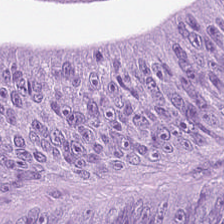The tissue here is tumor epithelium.
